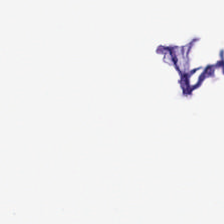Brightfield · H&E-stained tissue section. Histology — no tissue.
